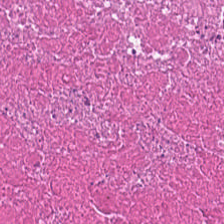H&E stain · 0.5 µm/px · FFPE tissue section.
The tissue type is cellular debris.
